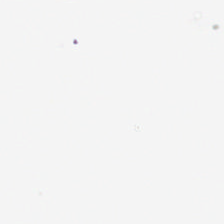Field content — background.
